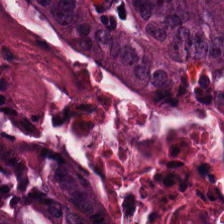Stain: hematoxylin and eosin.
Resolution: 0.5 µm per pixel.
Preparation: FFPE tissue section.
Tissue class: malignant epithelium.
